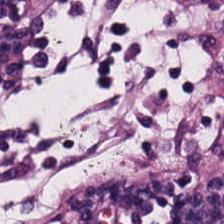Stain: H&E.
Tissue class: lymphocytes.
